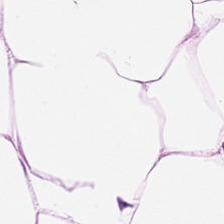FFPE tissue section · H&E-stained tissue section — This patch shows adipose.
